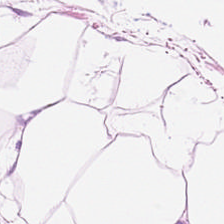H&E-stained tissue section — The tissue here is adipocytes.
